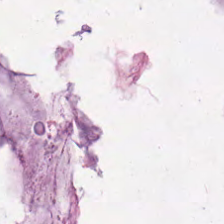Tissue — mucus.
